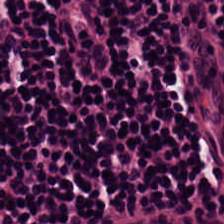Finding — lymphoid infiltrate.
